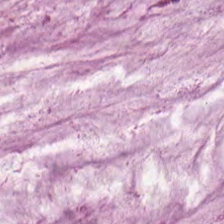This field is mucin.
